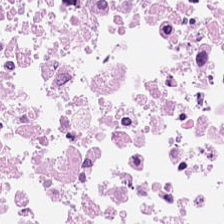Classification — cellular debris.
